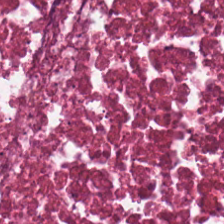Stain: hematoxylin and eosin.
Tissue class: debris.
